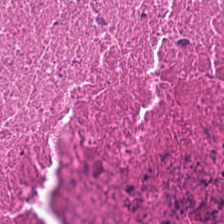H&E stain. Predominantly debris.
